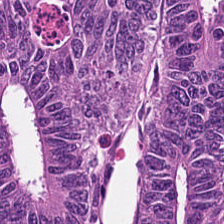H&E. Impression — tumor epithelium.
